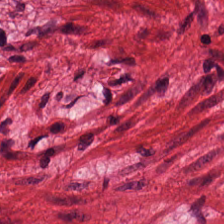Hematoxylin-and-eosin stained section — Q: Classify this patch.
A: This is smooth-muscle tissue.
